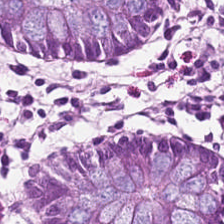H&E.
Impression → non-neoplastic colon mucosa.
